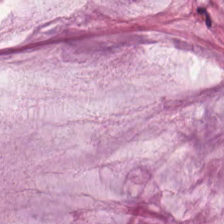Hematoxylin and eosin. FFPE.
Finding → extracellular mucin.
